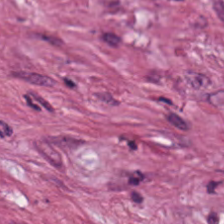H&E stain.
This field is tumor-associated stroma.
